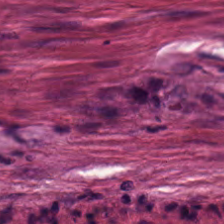Tissue class — cancer-associated stroma.
